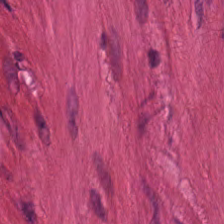H&E stain — Histology — smooth-muscle tissue.
